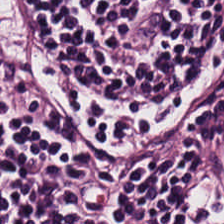224×224 px patch · H&E. This field is lymphocytic infiltrate.
